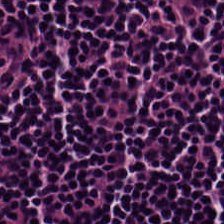Lymphocytes.
